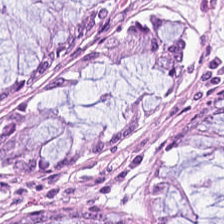This field is non-neoplastic colon mucosa.
